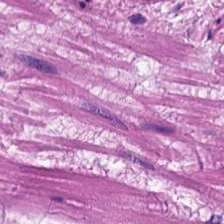20× equivalent magnification · H&E · brightfield.
Q: What does this patch show?
A: The field shows muscularis.
